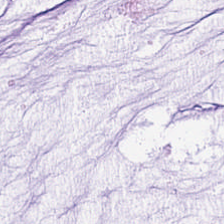H&E-stained tissue section — Showing mucus.
